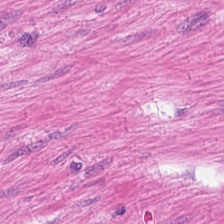The tissue is muscularis.
